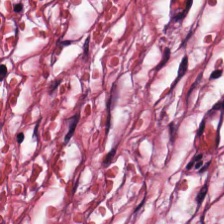Histology — tumor stroma.
